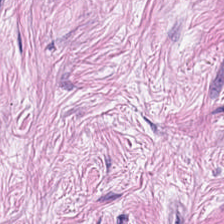224×224 px tile; H&E stain.
Impression — tumor-associated stroma.
